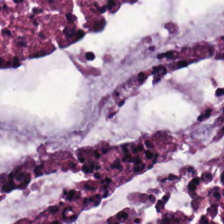Stain: H&E stain.
Tissue type: mucin.
